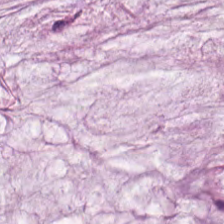Hematoxylin-and-eosin stained section.
The predominant tissue is mucus.
